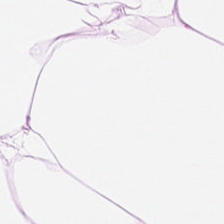0.5 µm/px. Hematoxylin and eosin. Whole-slide-image patch. Q: What tissue type is shown here?
A: It is adipose tissue.
